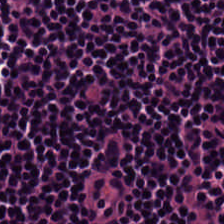0.5 µm/px; hematoxylin and eosin. Q: What is shown here?
A: The field shows lymphoid infiltrate.
